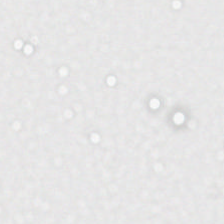Hematoxylin-and-eosin stained section.
This field is background (no tissue).
